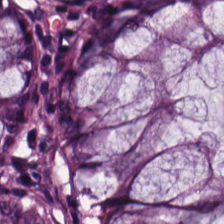H&E stain; WSI patch. Showing benign colonic mucosa.
